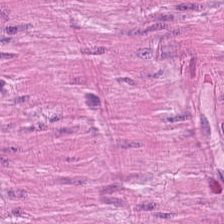Stain: hematoxylin-and-eosin stained section.
Classification: smooth muscle.
